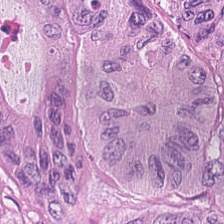Hematoxylin and eosin — Histology — tumor epithelium.
